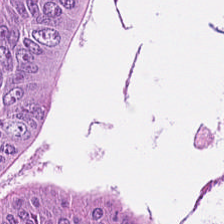Stain: H&E-stained tissue section.
Resolution: 0.5 µm per pixel.
Predominant tissue: colorectal adenocarcinoma epithelium.
